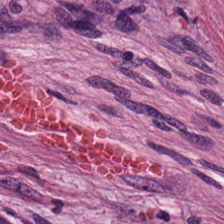H&E-stained tissue section — This field is tumor stroma.
